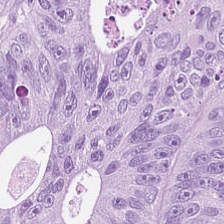Predominantly colorectal adenocarcinoma.
